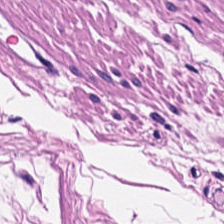H&E-stained section; the field shows muscularis.
